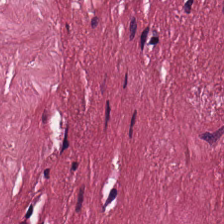H&E-stained tissue section — The tissue type is tumor stroma.
